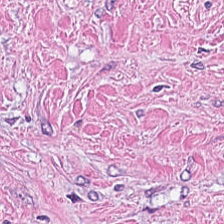Stain: H&E-stained tissue section.
Classification: tumor-associated stroma.
